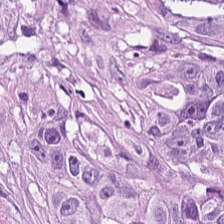H&E-stained tissue section.
Histology → tumor-associated stroma.
